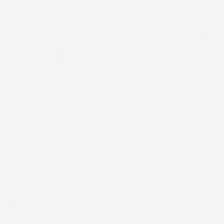H&E — Q: Classify this patch.
A: It is empty background.
